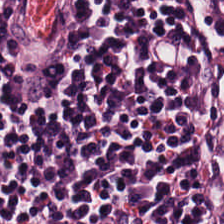H&E stain.
Tissue type — lymphocyte aggregate.
